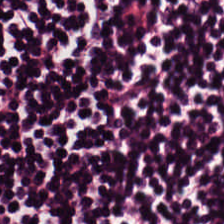20× equivalent magnification; brightfield microscopy; H&E-stained tissue section — Q: What type of tissue is this?
A: Lymphocyte aggregate.
